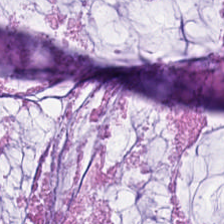224×224 px patch · H&E stain — The tissue here is mucin.
